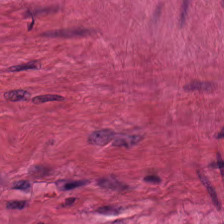H&E-stained tissue section showing muscularis.
